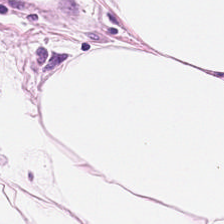H&E — Showing fat tissue.
